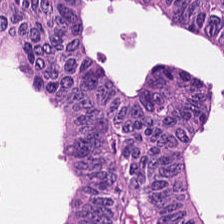H&E patch showing tumor epithelium.
